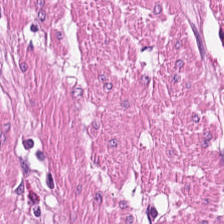This patch shows smooth-muscle tissue.
